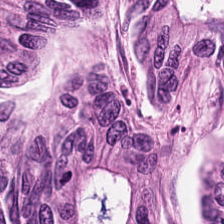224×224 px patch · whole-slide-image patch · H&E. Tissue class = tumor epithelium.
